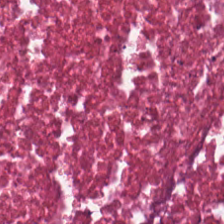Tissue type — cellular debris.
